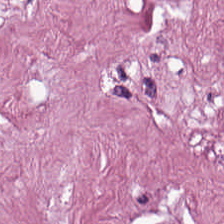H&E · 0.5 microns per pixel.
This patch shows tumor-associated stroma.
